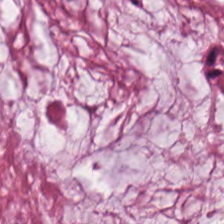Q: What tissue type is shown here?
A: This is mucin.
